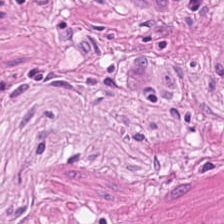0.5 µm/px. Hematoxylin and eosin. Finding → muscularis.
